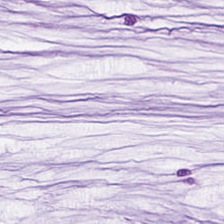Hematoxylin and eosin. Brightfield microscopy.
This patch shows extracellular mucin.
